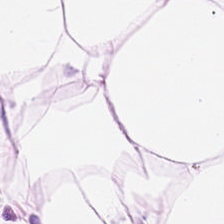224×224 px patch · hematoxylin-and-eosin stained section · 20× equivalent magnification. Finding — fat tissue.
